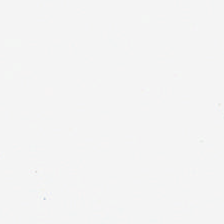Stain: hematoxylin and eosin.
Preparation: FFPE.
Field content: background.
